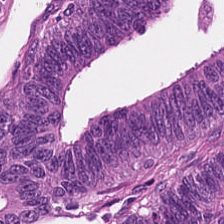224×224 px tile. H&E.
The tissue here is colorectal adenocarcinoma.
